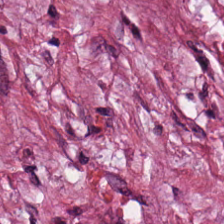Stain: H&E stain.
Tissue type: tumor-associated stroma.
